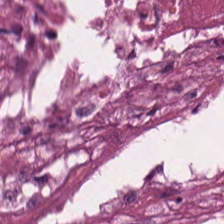H&E. 0.5 µm per pixel.
Q: What does this patch show?
A: It is necrotic debris.
